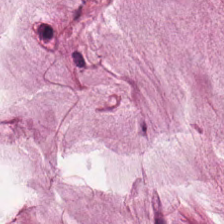Formalin-fixed paraffin-embedded section; 224×224 px patch; hematoxylin and eosin.
Histology → mucin.
